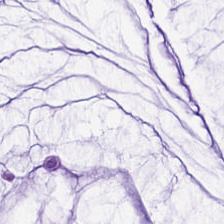Q: What tissue is shown?
A: This is mucin.
